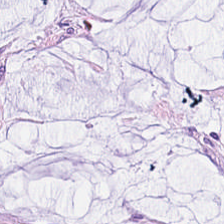H&E.
This field is extracellular mucin.
